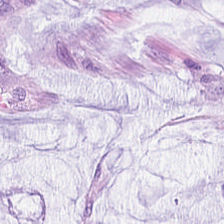H&E stain · FFPE. Q: Identify the tissue.
A: This is extracellular mucin.
